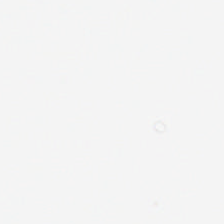Brightfield. Hematoxylin-and-eosin stained section. Formalin-fixed paraffin-embedded section.
Q: What is shown in this field?
A: Empty background.
